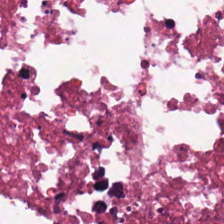Hematoxylin-and-eosin stained section. Cellular debris.
